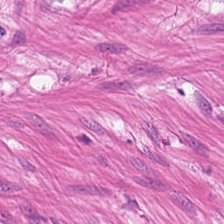H&E stain.
Q: What is shown here?
A: The field shows muscularis.
